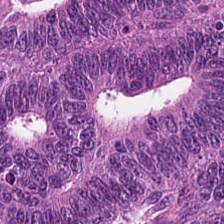H&E stain — {"tissue_type": "colorectal adenocarcinoma epithelium"}
